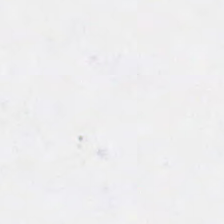224×224 px tile. Hematoxylin and eosin — Impression — empty background.
